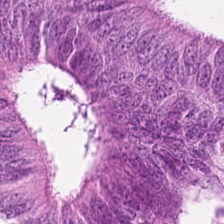H&E-stained tissue section — Impression — colorectal adenocarcinoma.
